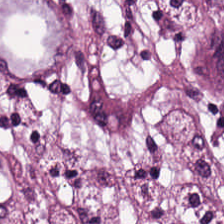H&E-stained section; the field shows cancer-associated stroma.
